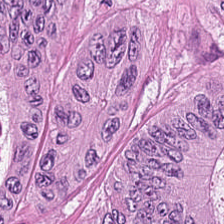Q: What tissue is shown?
A: This is malignant epithelium.
